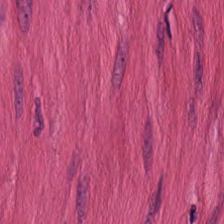Hematoxylin and eosin. Tissue type = smooth muscle.
